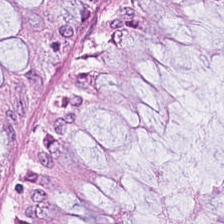Hematoxylin and eosin; brightfield.
Q: What tissue type is shown here?
A: It is normal colon mucosa.
